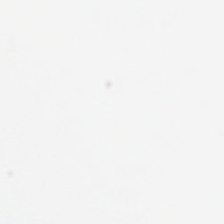H&E-stained tissue section — Background — no tissue in this field.
